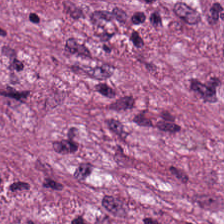Hematoxylin-and-eosin stained section.
The predominant tissue is tumor stroma.
